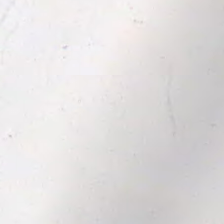Hematoxylin and eosin. 224×224 pixel tile. Field content — background (no tissue).
